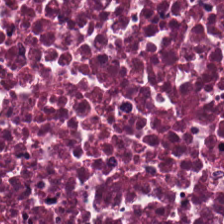Hematoxylin and eosin; 224×224 pixel tile.
Showing debris.
